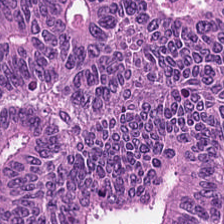Hematoxylin-and-eosin stained section; formalin-fixed paraffin-embedded section. Predominantly adenocarcinoma.
